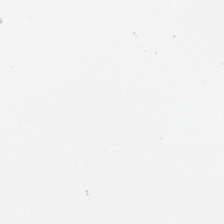H&E stain.
Field content: background.
